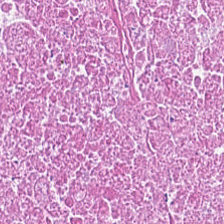Whole-slide-image patch · hematoxylin and eosin · 0.5 µm per pixel.
Showing necrotic debris.
